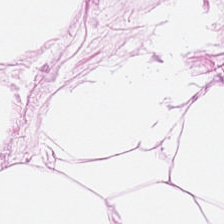H&E — Classification: adipose.
